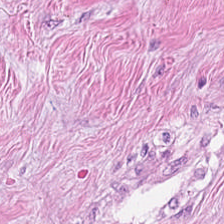224×224 px patch · formalin-fixed paraffin-embedded section · hematoxylin-and-eosin stained section. Tissue = desmoplastic stroma.
